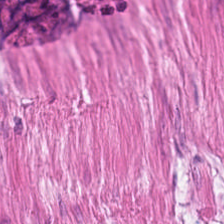H&E.
Predominant tissue: smooth muscle.
